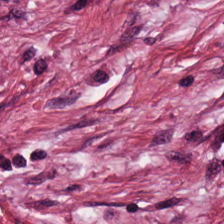H&E-stained section; the field shows tumor-associated stroma.
